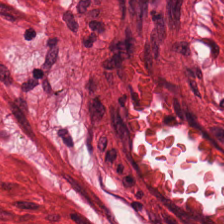Q: What does this patch show?
A: Smooth muscle.
